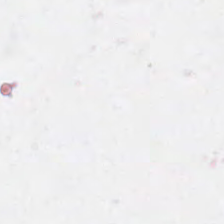H&E. FFPE tissue section. WSI patch.
Content: no tissue.
